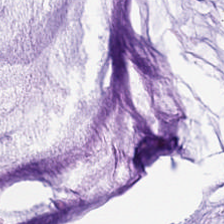Showing extracellular mucin.
